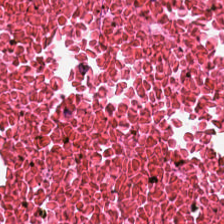Hematoxylin and eosin; whole-slide-image patch.
Histology — debris.
